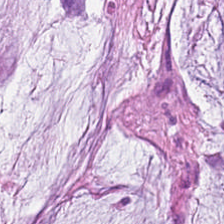224×224 px patch · 0.5 microns per pixel · H&E stain. The tissue here is extracellular mucin.
